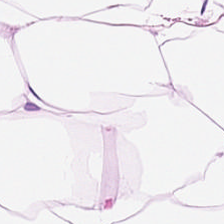Hematoxylin-and-eosin stained section — {"tissue_type": "adipocytes"}
